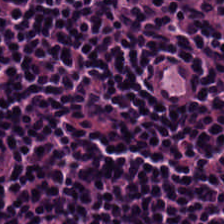This field is lymphocytic infiltrate.
